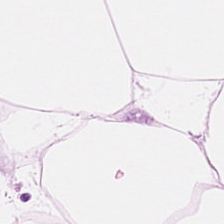H&E stain.
The predominant tissue is fat tissue.
